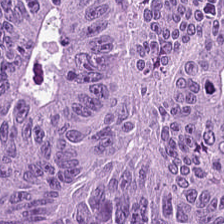Q: What is shown in this field?
A: Tumor epithelium.
